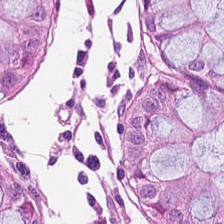Formalin-fixed paraffin-embedded section. 224×224 px patch. Hematoxylin and eosin. Q: What tissue is shown?
A: Benign colonic mucosa.
